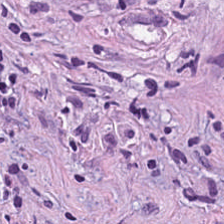Hematoxylin-and-eosin section: cancer-associated stroma.
